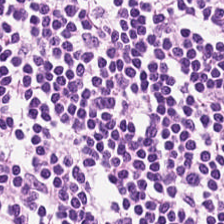Brightfield microscopy · formalin-fixed paraffin-embedded section · H&E — Showing lymphocytic infiltrate.
